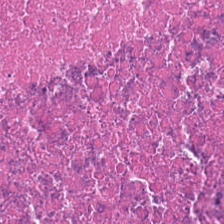Hematoxylin-and-eosin section: necrotic debris.
